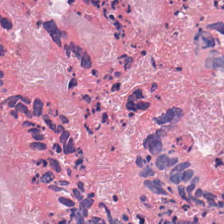20× equivalent magnification; H&E stain.
The predominant tissue is necrotic debris.
